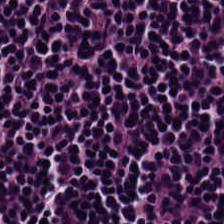Predominant tissue: lymphocytic infiltrate.
